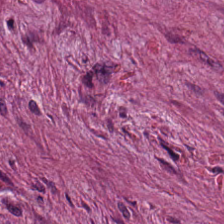H&E stain — Tissue = tumor-associated stroma.
